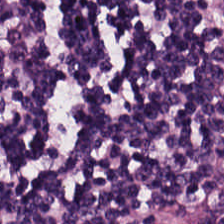The tissue is lymphocyte aggregate.
